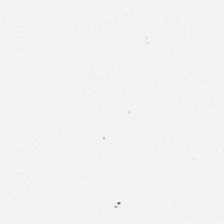H&E stain.
This field is background (no tissue).
